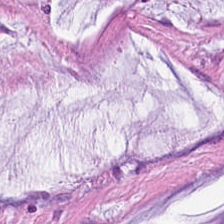0.5 µm per pixel. H&E. WSI patch. The tissue here is mucus.
